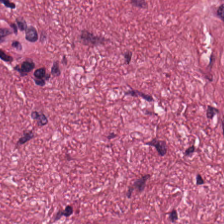The classification is cancer-associated stroma.
